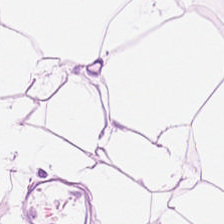Hematoxylin and eosin — Tissue — adipocytes.
